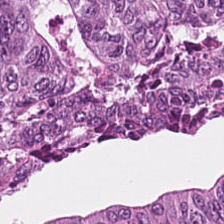Hematoxylin and eosin — {"tissue_type": "malignant epithelium"}
